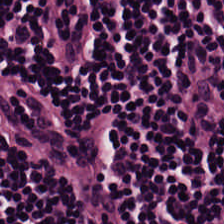Tissue type: lymphocyte aggregate.
